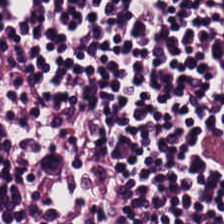Whole-slide-image patch. H&E. 0.5 µm/px. {"tissue_type": "lymphocytes"}
